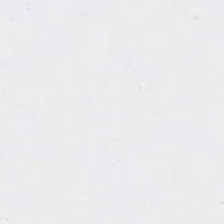No tissue present; background only.
